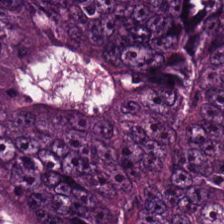H&E stain. Impression — colorectal adenocarcinoma.
